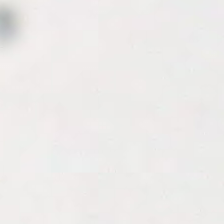Hematoxylin-and-eosin stained section. Content = background (no tissue).
